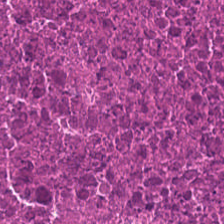Q: What does this patch show?
A: Necrotic debris.
